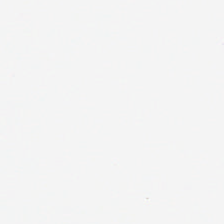H&E stain.
This field is background (no tissue).
